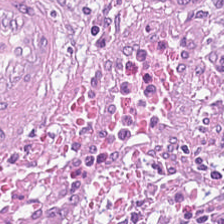H&E-stained tissue section. This patch shows cancer-associated stroma.
